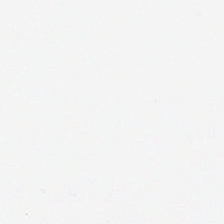Histology — background.
